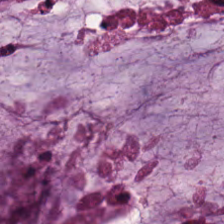Q: Identify the tissue.
A: It is mucin.
